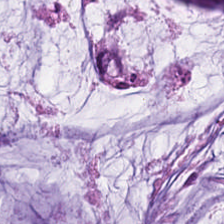Hematoxylin and eosin; brightfield microscopy; 224×224 px tile — Tissue class — extracellular mucin.
